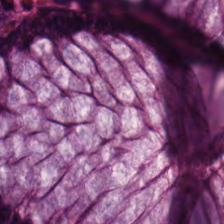H&E stain. Q: Identify the tissue.
A: Normal colon mucosa.
